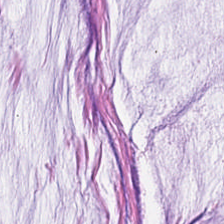Hematoxylin and eosin; 0.5 µm per pixel. Showing extracellular mucin.
